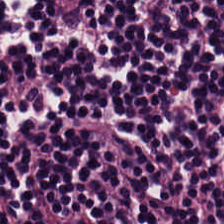224×224 px tile; brightfield microscopy; H&E.
The classification is lymphocytes.
